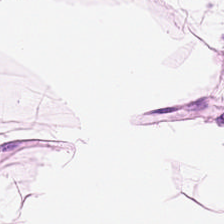Hematoxylin and eosin.
Finding — adipose.
